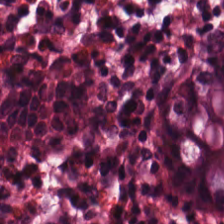Hematoxylin and eosin. Tissue — non-neoplastic colon mucosa.
